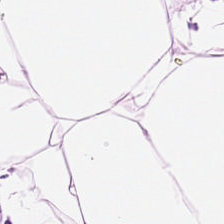Stain: H&E stain.
Acquisition: brightfield microscopy.
Tissue: adipocytes.
